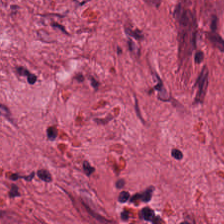Hematoxylin and eosin. Classification = tumor-associated stroma.
